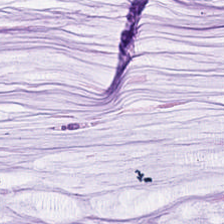H&E-stained tissue section — Showing extracellular mucin.
